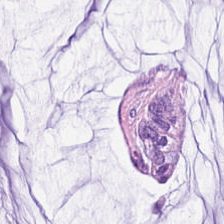H&E stain.
Q: What is shown in this field?
A: The field shows extracellular mucin.
